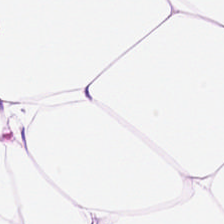Stain: hematoxylin-and-eosin stained section.
Tissue type: adipose tissue.
